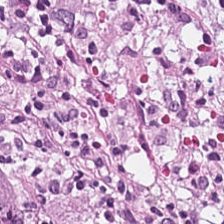Hematoxylin-and-eosin stained section — The predominant tissue is desmoplastic stroma.
